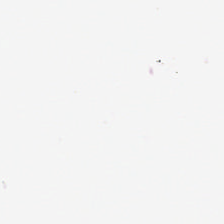H&E. Impression → background.
